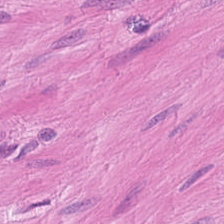Impression — smooth muscle.
